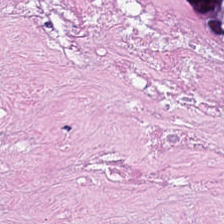Stain: hematoxylin and eosin.
Predominant tissue: debris.
